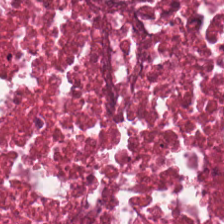Hematoxylin-and-eosin stained section — Histology — necrotic debris.
